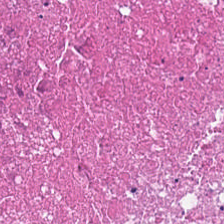H&E stain · FFPE — This patch shows necrotic debris.
